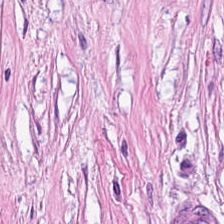H&E.
Histology → tumor-associated stroma.
